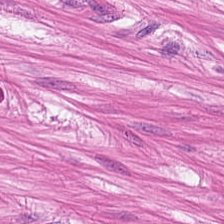Hematoxylin-and-eosin stained section. 224×224 px patch. Q: What tissue type is shown here?
A: The field shows smooth-muscle tissue.
